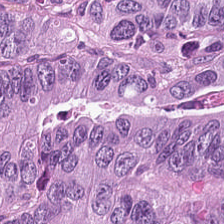Stain: hematoxylin and eosin.
Tissue class: adenocarcinoma.
